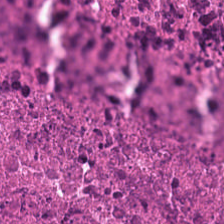FFPE. Brightfield microscopy. Hematoxylin-and-eosin stained section. The tissue here is necrotic debris.
